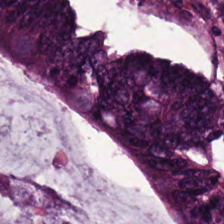0.5 µm/px; H&E stain — Classification — colorectal adenocarcinoma epithelium.
